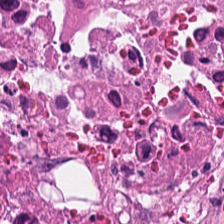The predominant tissue is necrotic debris.
